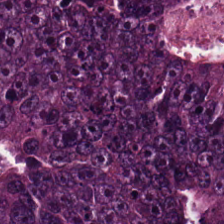H&E; FFPE; 224×224 pixel tile.
Q: What is shown in this field?
A: This is malignant epithelium.
